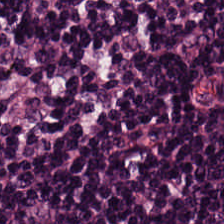H&E-stained tissue section.
Histology — lymphoid infiltrate.
